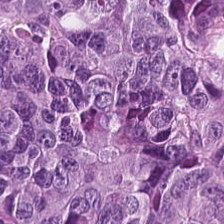Hematoxylin and eosin · FFPE tissue section — This patch shows colorectal adenocarcinoma.
